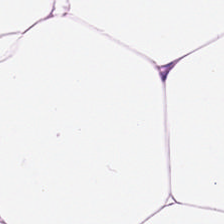Brightfield. Hematoxylin and eosin.
Q: What tissue type is shown here?
A: Adipocytes.
